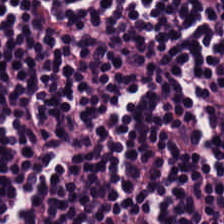Brightfield. Hematoxylin-and-eosin stained section.
Tissue = lymphoid infiltrate.
